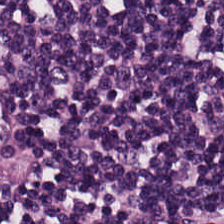FFPE. Hematoxylin and eosin — Q: What is shown in this field?
A: It is lymphocytic infiltrate.
